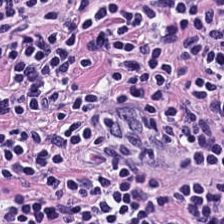Stain: H&E-stained tissue section.
Tissue type: lymphocytes.
